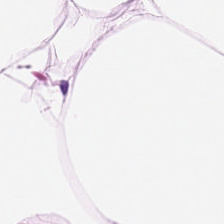Impression → adipocytes.
